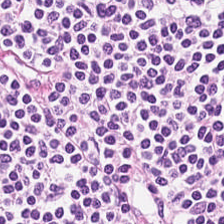H&E.
Tissue: lymphocyte aggregate.
